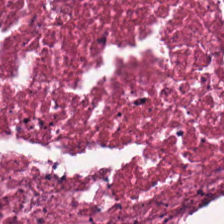H&E · formalin-fixed paraffin-embedded section · brightfield microscopy. Predominantly debris.
